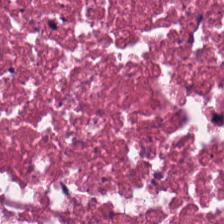H&E patch showing cellular debris.
